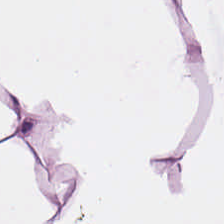Stain: H&E stain.
Acquisition: brightfield.
Tissue type: adipose tissue.
